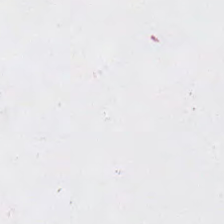WSI patch; H&E stain. Q: What is shown in this field?
A: It is background (no tissue).
